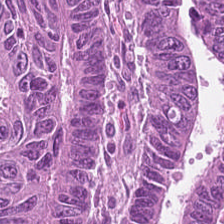H&E-stained tissue section showing colorectal adenocarcinoma epithelium.
